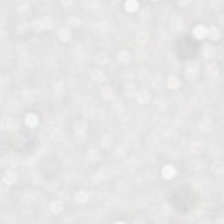H&E. 224×224 px tile — Impression → background.
